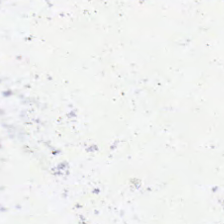Hematoxylin and eosin — Q: Classify this patch.
A: It is background (no tissue).
